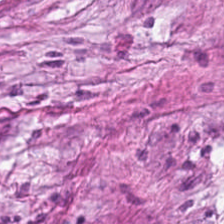Hematoxylin and eosin.
Tumor-associated stroma.
